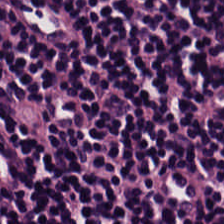H&E stain. WSI patch. Formalin-fixed paraffin-embedded section. {"tissue_type": "lymphocytic infiltrate"}
